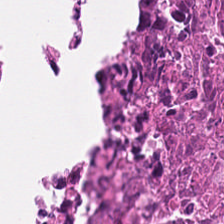224×224 px patch; hematoxylin-and-eosin stained section.
Q: What is shown here?
A: It is necrotic debris.
